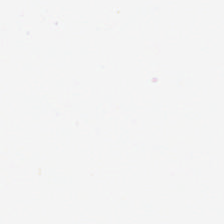H&E stain — This patch shows no tissue.
